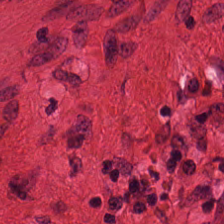FFPE; H&E. Tissue = smooth-muscle tissue.
